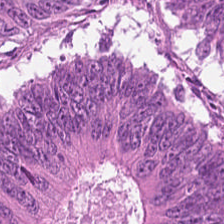H&E-stained section; the field shows tumor epithelium.
